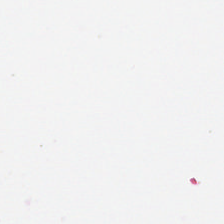H&E stain.
Q: Classify this patch.
A: It is background.
